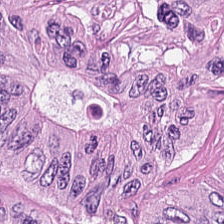Showing malignant epithelium.
